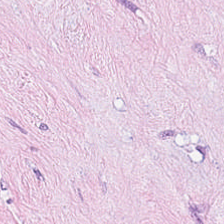Hematoxylin-and-eosin stained section. Q: What is the predominant tissue type?
A: This is tumor stroma.
